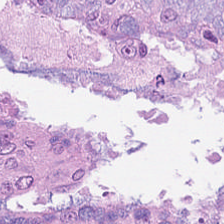H&E. The predominant tissue is colorectal adenocarcinoma.
